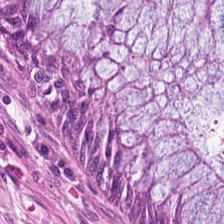Hematoxylin-and-eosin stained section. Showing normal colon mucosa.
